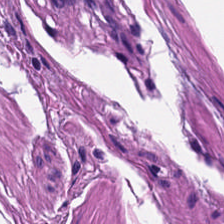Predominant tissue — muscularis.
